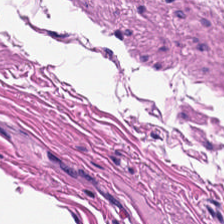H&E — Tissue — smooth-muscle tissue.
